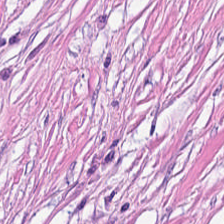Brightfield; H&E stain — Tissue = desmoplastic stroma.
